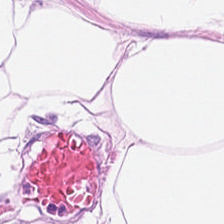H&E; 0.5 µm per pixel.
Adipocytes.
